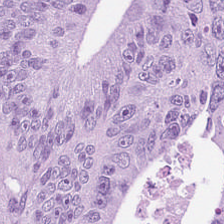Hematoxylin-and-eosin stained section.
Finding → adenocarcinoma.
